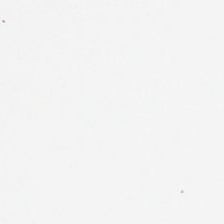Brightfield. H&E — The content is background (no tissue).
